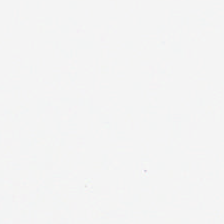H&E-stained tissue section. Finding — background (no tissue).
